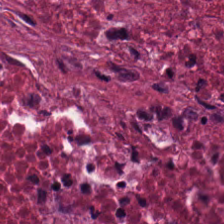Whole-slide-image patch; H&E. Cellular debris.
